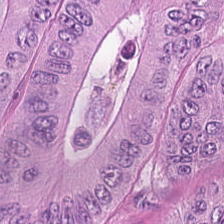H&E. FFPE tissue section.
Classification: adenocarcinoma.
